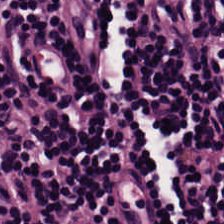The tissue here is lymphoid infiltrate.
